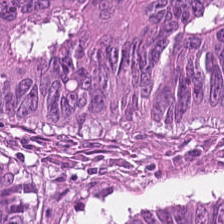WSI patch · H&E. Malignant epithelium.
